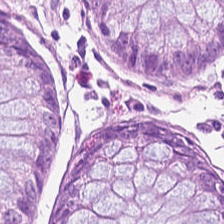H&E-stained tissue section; formalin-fixed paraffin-embedded section — {"tissue_type": "normal colon mucosa"}
